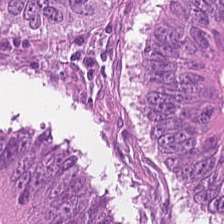H&E stain — Predominantly colorectal adenocarcinoma.
